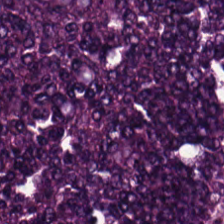H&E stain; 224×224 pixel tile; 0.5 µm/px — Finding — colorectal adenocarcinoma epithelium.
